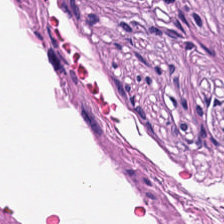Stain: hematoxylin and eosin.
Predominant tissue: smooth-muscle tissue.
